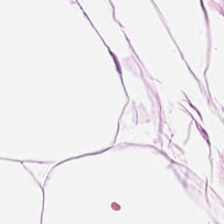FFPE tissue section. H&E.
Adipose.
